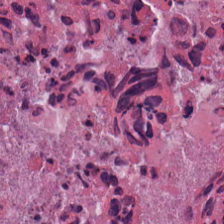{"tissue_type": "debris"}
